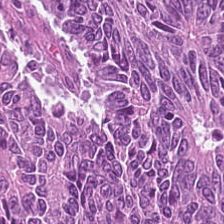Hematoxylin-and-eosin stained section — Impression — colorectal adenocarcinoma.
